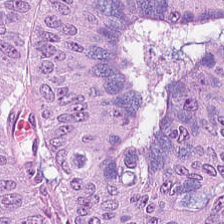20× equivalent magnification. Hematoxylin and eosin — The tissue type is adenocarcinoma.
